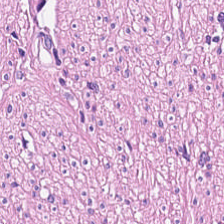Hematoxylin-and-eosin stained section. The tissue is smooth muscle.
